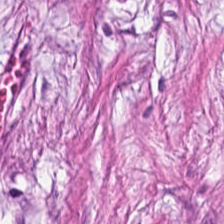0.5 µm/px · hematoxylin-and-eosin stained section. Tumor stroma.
